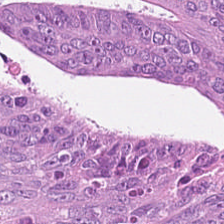Classification: adenocarcinoma.
